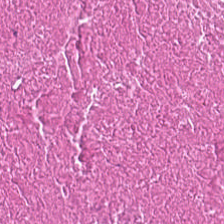Stain: H&E-stained tissue section.
Preparation: FFPE.
Tile size: 224×224 px patch.
Tissue type: necrotic debris.
